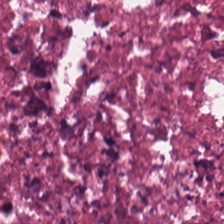FFPE tissue section. H&E-stained tissue section — The classification is necrotic debris.
